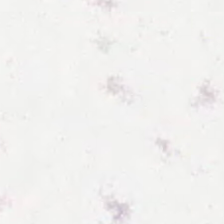H&E-stained tissue section; 20× equivalent magnification. Impression — empty background.
